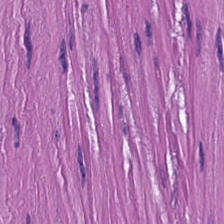Classification = smooth-muscle tissue.
